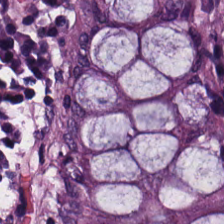Stain: hematoxylin-and-eosin stained section.
Tile size: 224×224 pixel tile.
Tissue type: benign colonic mucosa.
